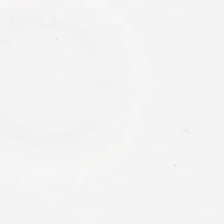H&E-stained tissue section · 224×224 pixel tile · FFPE tissue section — Q: What is shown in this field?
A: No tissue.
